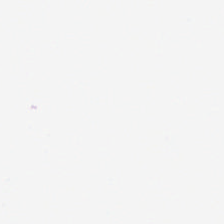20× equivalent magnification · hematoxylin and eosin — Field content = no tissue.
